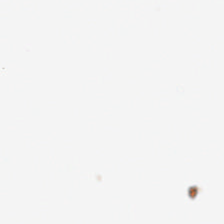Hematoxylin and eosin. WSI patch. FFPE tissue section. No tissue.
